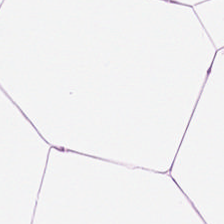The tissue class is adipose tissue.
